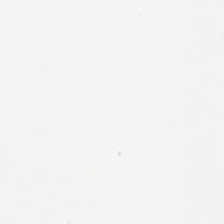Q: What is shown here?
A: Empty background.
